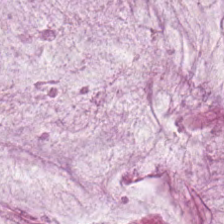Histology — mucin.
